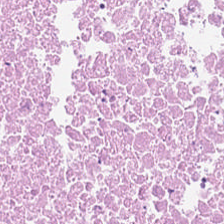H&E stain. 0.5 µm/px.
Tissue type — debris.
